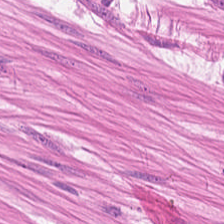224×224 px tile; H&E stain; FFPE tissue section — Q: Classify this patch.
A: This is smooth muscle.
